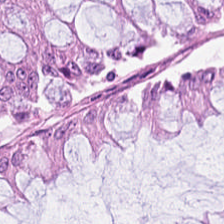H&E-stained tissue section — Classification: normal colonic mucosa.
